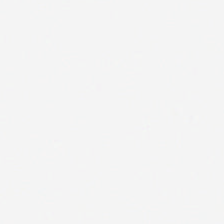224×224 px patch. Hematoxylin and eosin.
This field is background (no tissue).
